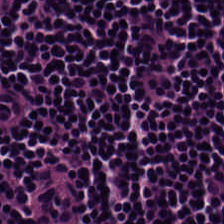Predominantly lymphocytes.
